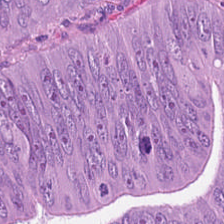H&E — adenocarcinoma.
